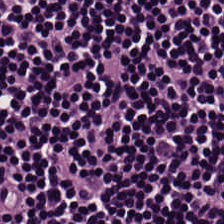H&E. This field is lymphoid infiltrate.
